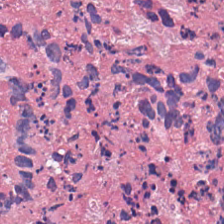Hematoxylin-and-eosin stained section. 20× equivalent magnification.
Predominantly necrotic debris.
